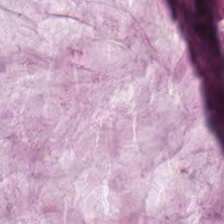H&E-stained section; the field shows mucin.
